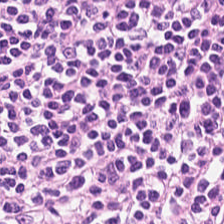H&E-stained tissue section — This patch shows lymphocytic infiltrate.
